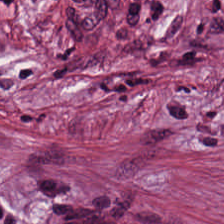FFPE · hematoxylin-and-eosin stained section.
Q: Identify the tissue.
A: The field shows tumor-associated stroma.
